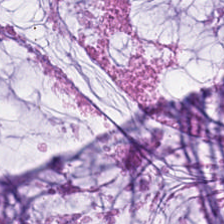Tissue type: extracellular mucin.
